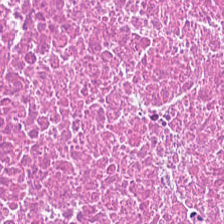FFPE tissue section. Hematoxylin and eosin.
Predominantly cellular debris.
